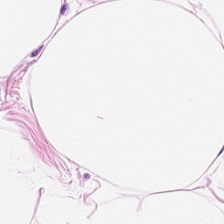Brightfield microscopy · H&E.
The tissue is fat tissue.
